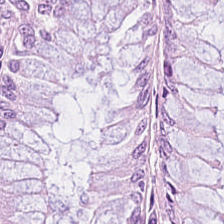Stain: hematoxylin and eosin.
Tile size: 224×224 px patch.
Predominant tissue: normal colon mucosa.
